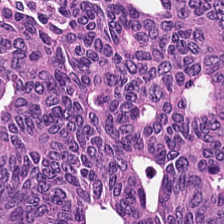20× equivalent magnification. H&E stain — Q: Classify this patch.
A: It is colorectal adenocarcinoma.
